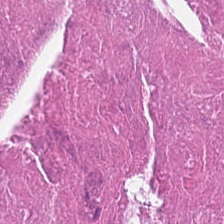{"tissue_type": "debris"}
